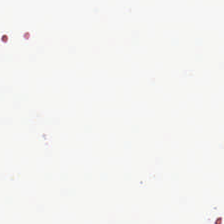No tissue present; background only.
